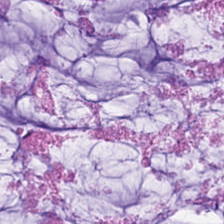H&E stain.
Histology → extracellular mucin.
